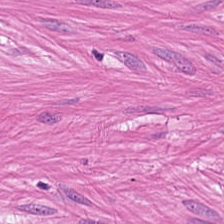{"tissue_type": "smooth muscle"}
